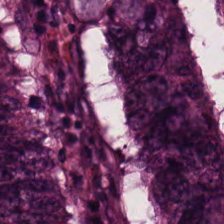H&E — adenocarcinoma.
